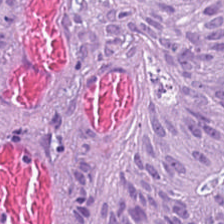H&E-stained tissue section; formalin-fixed paraffin-embedded section — Finding → tumor epithelium.
